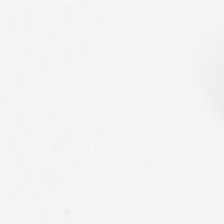Hematoxylin-and-eosin stained section.
Background — no tissue in this field.
